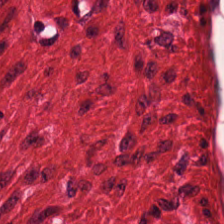H&E stain; 0.5 microns per pixel; brightfield. Classification = muscularis.
